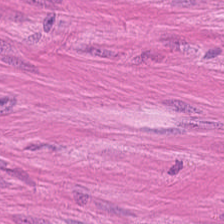H&E — Showing muscularis.
